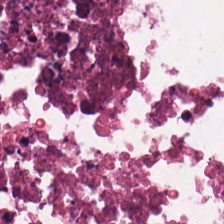Hematoxylin-and-eosin stained section. The tissue is cellular debris.
